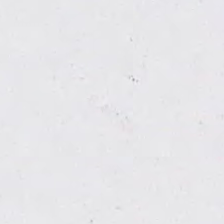This patch shows no tissue.
